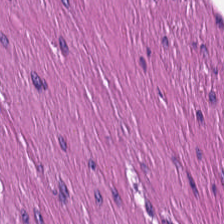FFPE tissue section; H&E. Impression → smooth-muscle tissue.
